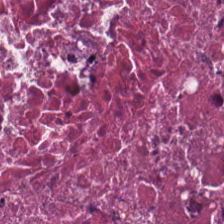Hematoxylin-and-eosin stained section · WSI patch. Predominantly debris.
